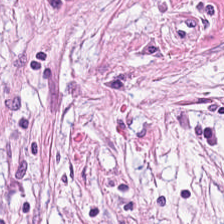Hematoxylin-and-eosin stained section — The tissue class is tumor-associated stroma.
